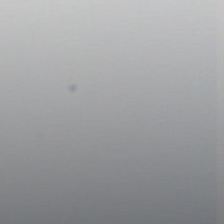Stain: hematoxylin and eosin.
Field content: no tissue.
